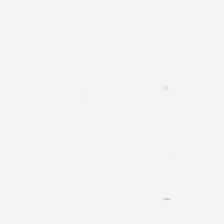Formalin-fixed paraffin-embedded section · H&E stain. Field content: no tissue.
